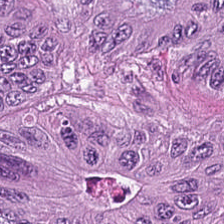Brightfield microscopy · H&E stain · FFPE tissue section. Tissue = malignant epithelium.
